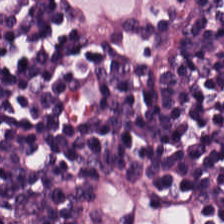H&E stain.
Showing lymphocyte aggregate.
